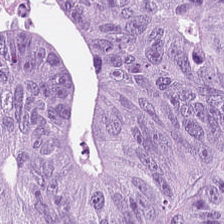224×224 pixel tile · H&E-stained tissue section · whole-slide-image patch — The classification is malignant epithelium.
